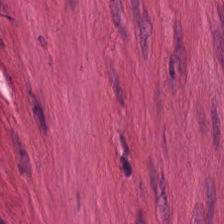H&E stain. 224×224 px tile — This patch shows muscularis.
